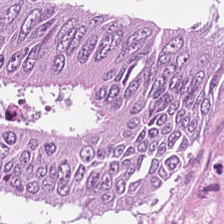Predominantly tumor epithelium.
